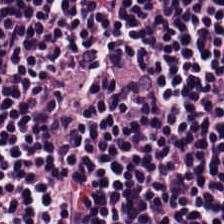H&E stain. The tissue here is lymphocyte aggregate.
